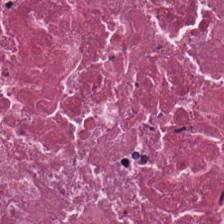H&E stain. Finding — necrotic debris.
